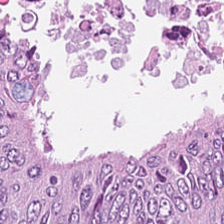Q: What is the predominant tissue type?
A: Colorectal adenocarcinoma.
